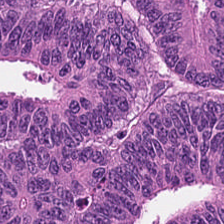Finding → colorectal adenocarcinoma epithelium.
